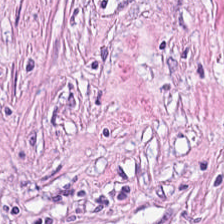H&E stain. Classification = tumor-associated stroma.
